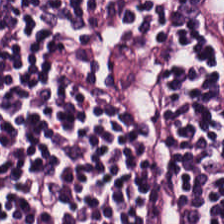H&E stain.
Tissue class = lymphocytes.
